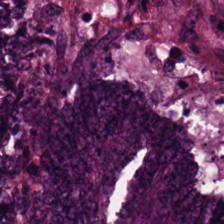0.5 µm per pixel; H&E stain. The tissue here is adenocarcinoma.
